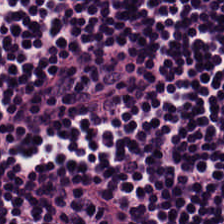H&E. Q: What is the predominant tissue type?
A: It is lymphoid infiltrate.
